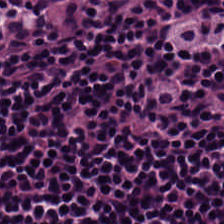Tissue class: lymphoid infiltrate.
